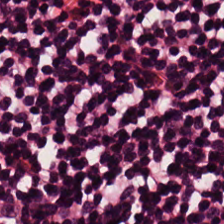H&E patch showing lymphocytic infiltrate.
